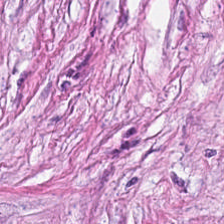Stain: H&E-stained tissue section.
Tile size: 224×224 px tile.
Tissue class: tumor-associated stroma.
